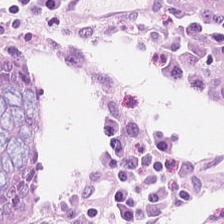Classification: normal colon mucosa.
